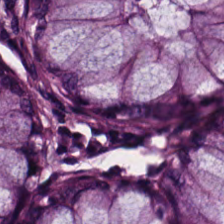Hematoxylin and eosin.
Classification: normal colon mucosa.
